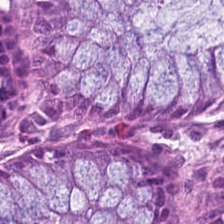20× equivalent magnification. Hematoxylin-and-eosin stained section — Q: What is shown here?
A: This is normal colonic mucosa.
